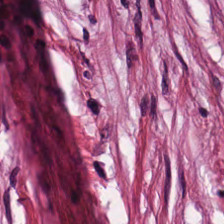H&E stain — This field is tumor-associated stroma.
